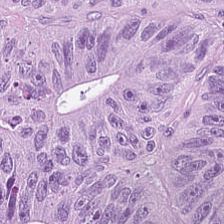Tissue: malignant epithelium.
